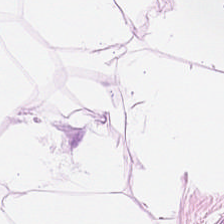Tissue type = adipose tissue.
